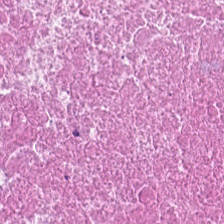Tissue type = debris.
